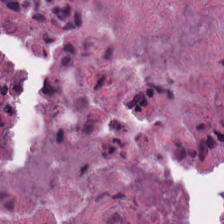This field is necrotic debris.
